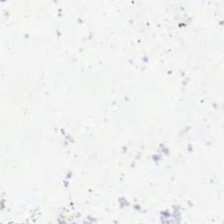Stain: H&E stain.
Preparation: FFPE tissue section.
Tile size: 224×224 px tile.
Content: background.
